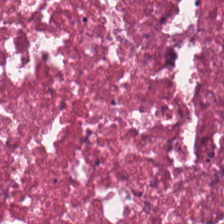Hematoxylin-and-eosin stained section — Predominant tissue — cellular debris.
